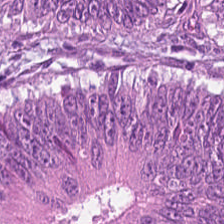0.5 µm per pixel · hematoxylin and eosin. This patch shows colorectal adenocarcinoma epithelium.
